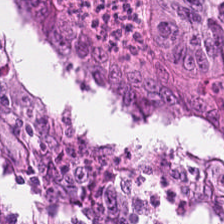H&E; 224×224 pixel tile.
Histology — colorectal adenocarcinoma epithelium.
